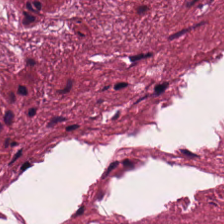Hematoxylin-and-eosin stained section. Tumor-associated stroma.
